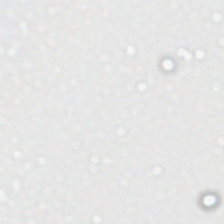Brightfield. H&E — No tissue present; background only.
